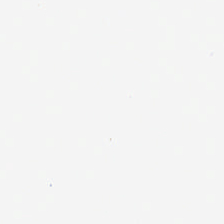H&E; 20× equivalent magnification. Q: What is shown in this field?
A: The field shows background.
